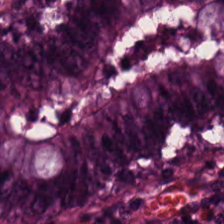Formalin-fixed paraffin-embedded section · hematoxylin-and-eosin stained section · 224×224 px tile — {"tissue_type": "normal colonic mucosa"}
